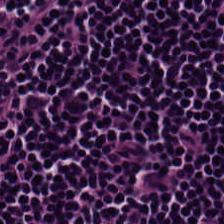H&E-stained tissue section. The tissue here is lymphocytes.
